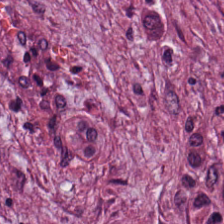Whole-slide-image patch; H&E-stained tissue section — Finding — desmoplastic stroma.
